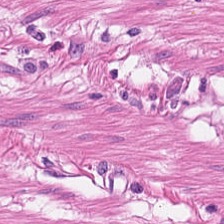Q: Classify this patch.
A: The field shows muscularis.
